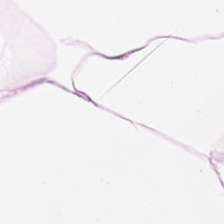H&E.
Adipocytes.
